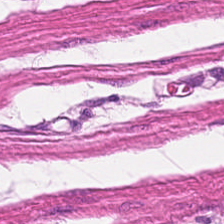224×224 px tile. Hematoxylin and eosin. Showing muscularis.
